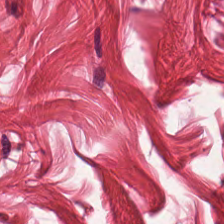Hematoxylin and eosin. This patch shows smooth-muscle tissue.
